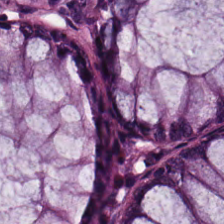Stain: H&E stain.
Classification: benign colonic mucosa.
